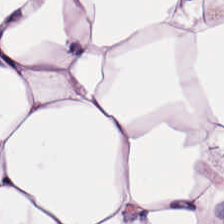0.5 µm per pixel. Hematoxylin-and-eosin stained section. Showing adipose.
